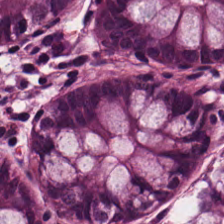Formalin-fixed paraffin-embedded section. 224×224 px patch. H&E-stained tissue section. The predominant tissue is normal colon mucosa.
